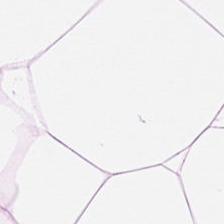H&E stain; formalin-fixed paraffin-embedded section; brightfield microscopy — Showing adipocytes.
